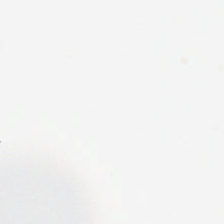H&E-stained tissue section.
No tissue present; background only.
